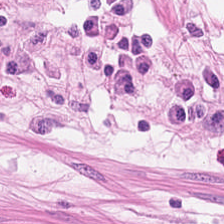H&E-stained tissue section. Classification = muscularis.
